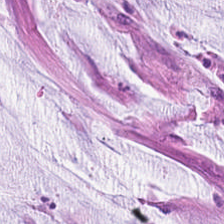FFPE tissue section. Whole-slide-image patch. Hematoxylin and eosin. Histology — mucin.
